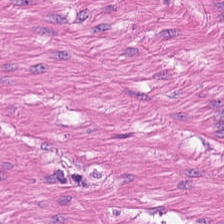H&E patch showing smooth-muscle tissue.
